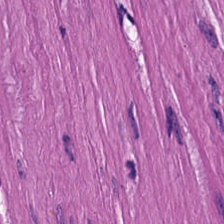This field is muscularis.
